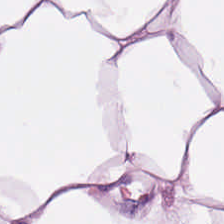FFPE tissue section. Brightfield. H&E-stained tissue section — This field is adipose tissue.
